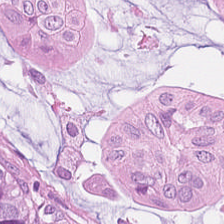224×224 pixel tile · H&E-stained tissue section. This field is tumor epithelium.
